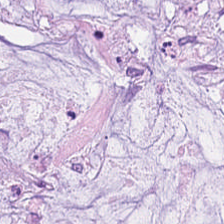Hematoxylin and eosin.
This field is mucin.
